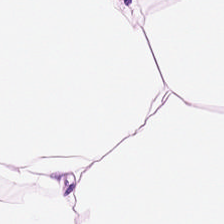0.5 µm/px; H&E stain — Tissue type — adipose tissue.
